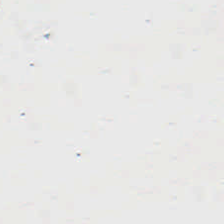Hematoxylin-and-eosin stained section. Empty field — no tissue.
